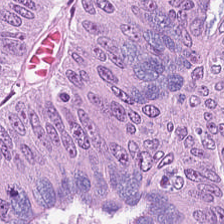H&E stain — Predominantly malignant epithelium.
